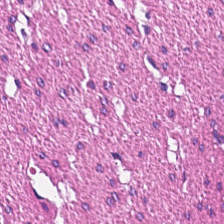H&E. The predominant tissue is muscularis.
